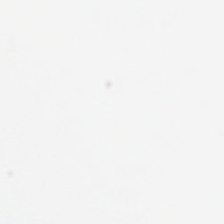Hematoxylin-and-eosin stained section. Empty field — background.
